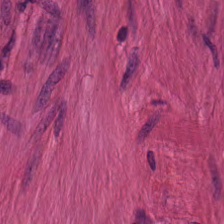224×224 pixel tile · brightfield microscopy · hematoxylin-and-eosin stained section.
Classification = muscularis.
